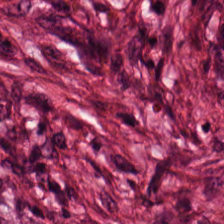Whole-slide-image patch. Formalin-fixed paraffin-embedded section. Hematoxylin-and-eosin stained section. {"tissue_type": "tumor-associated stroma"}
